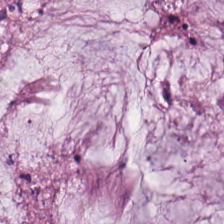H&E — Extracellular mucin.
